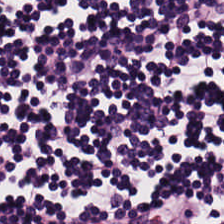Stain: H&E.
Acquisition: WSI patch.
Resolution: 0.5 µm/px.
Tissue class: lymphocytes.
